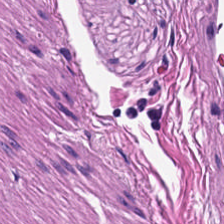The classification is muscularis.
